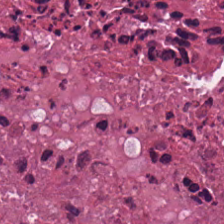Q: Identify the tissue.
A: This is cellular debris.
